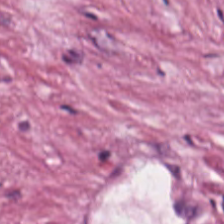H&E. Finding — cancer-associated stroma.
